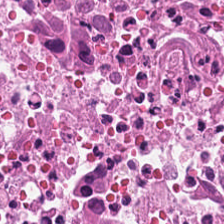20× equivalent magnification · hematoxylin and eosin.
The tissue type is debris.
